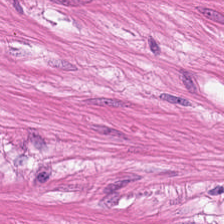H&E stain — Classification: smooth-muscle tissue.
